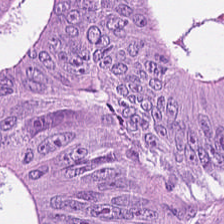H&E. Brightfield — Tissue class = colorectal adenocarcinoma.
